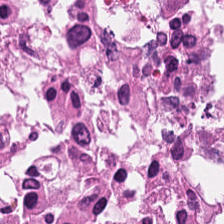Impression — necrotic debris.
